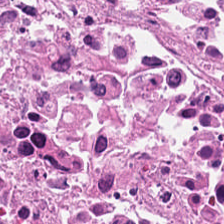Hematoxylin and eosin — Tissue type — debris.
